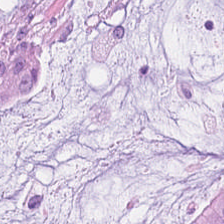Stain: hematoxylin-and-eosin stained section.
Acquisition: brightfield microscopy.
Tile size: 224×224 pixel tile.
Tissue class: mucin.
